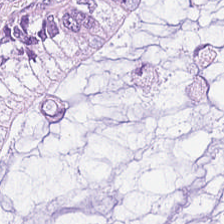Hematoxylin-and-eosin stained section. Histology — extracellular mucin.
